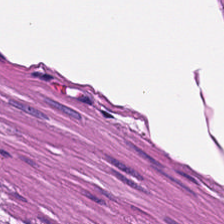H&E-stained tissue section. 0.5 µm per pixel — The tissue type is smooth muscle.
